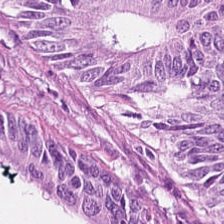224×224 px patch · H&E. Tumor epithelium.
